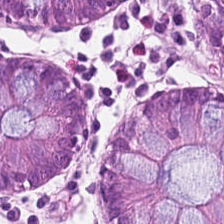Hematoxylin and eosin — Impression — non-neoplastic colon mucosa.
